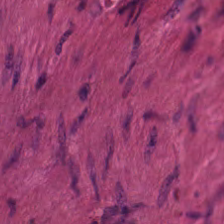H&E stain · 20× equivalent magnification. This field is smooth-muscle tissue.
